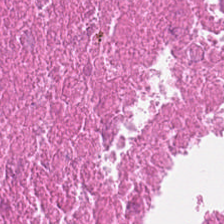Hematoxylin-and-eosin stained section — This patch shows necrotic debris.
